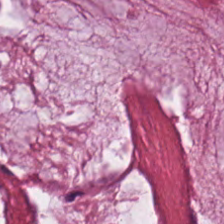Hematoxylin and eosin; WSI patch.
Mucin.
